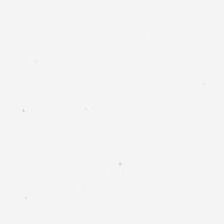Q: What is shown here?
A: The field shows background.
